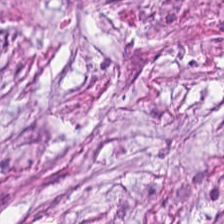0.5 microns per pixel; H&E stain; WSI patch. Predominantly tumor stroma.
